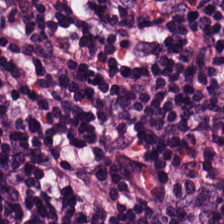224×224 pixel tile; 0.5 microns per pixel; hematoxylin and eosin.
Q: What does this patch show?
A: The field shows lymphocytic infiltrate.
